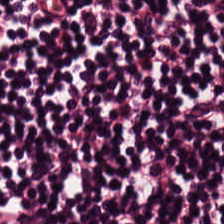H&E-stained tissue section. Q: What tissue is shown?
A: It is lymphocytes.
